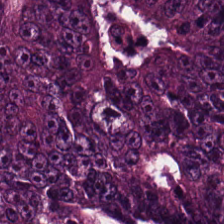FFPE. H&E stain. Q: What type of tissue is this?
A: The field shows malignant epithelium.
